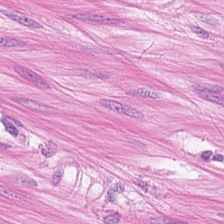224×224 px patch · hematoxylin and eosin — Q: Classify this patch.
A: The field shows smooth muscle.
